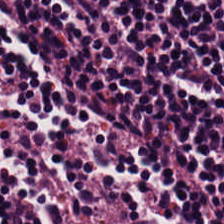Hematoxylin-and-eosin stained section; 224×224 pixel tile; brightfield.
{"tissue_type": "lymphoid infiltrate"}
